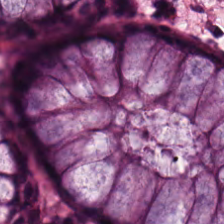Stain: hematoxylin-and-eosin stained section.
Resolution: 0.5 µm per pixel.
Classification: benign colonic mucosa.
